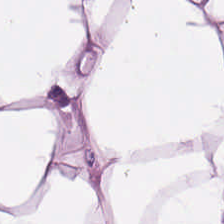Hematoxylin-and-eosin stained section.
Finding → adipose tissue.
